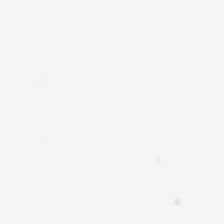Field content: empty background.
